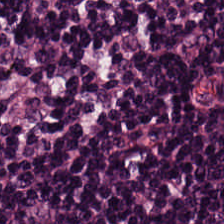0.5 µm/px · H&E · 224×224 px tile. Q: What tissue type is shown here?
A: This is lymphocyte aggregate.
